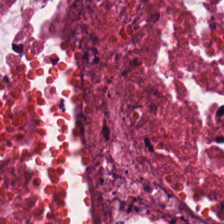H&E stain — {"tissue_type": "debris"}
